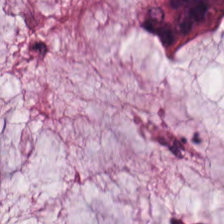H&E-stained tissue section.
Mucus.
